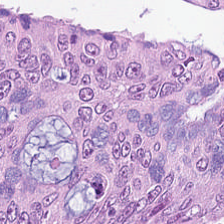Hematoxylin-and-eosin stained section.
Showing colorectal adenocarcinoma epithelium.
